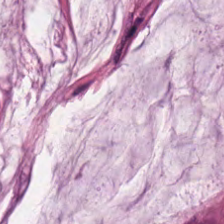H&E stain.
Showing mucin.
